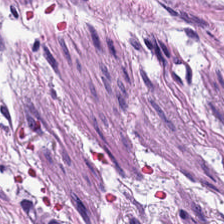H&E stain — The tissue here is desmoplastic stroma.
